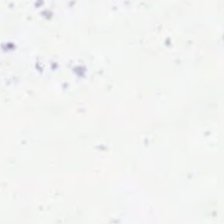Hematoxylin-and-eosin stained section · 224×224 px tile · FFPE. Q: What is shown in this field?
A: The field shows background.
